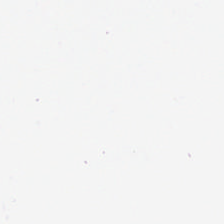Q: What is shown in this field?
A: The field shows empty background.
